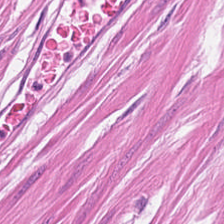Stain: H&E.
Acquisition: brightfield microscopy.
Resolution: 0.5 µm per pixel.
Classification: smooth-muscle tissue.
